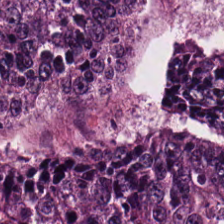Whole-slide-image patch. Formalin-fixed paraffin-embedded section. H&E — Showing malignant epithelium.
